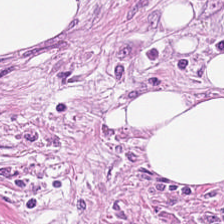H&E-stained tissue section. FFPE — This patch shows tumor-associated stroma.
